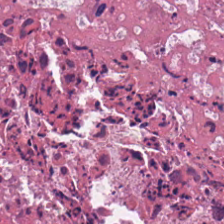H&E. FFPE tissue section. 0.5 µm/px — Classification — necrotic debris.
